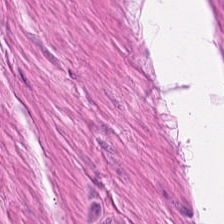Stain: hematoxylin and eosin.
Tile size: 224×224 pixel tile.
Tissue type: smooth muscle.
